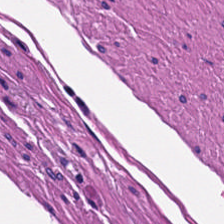Hematoxylin and eosin — Impression → smooth muscle.
